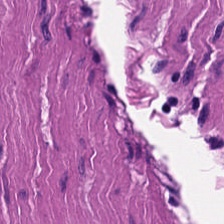Tissue type = muscularis.
